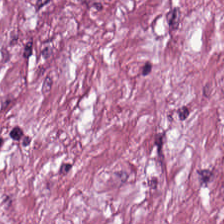Tissue type — tumor stroma.
